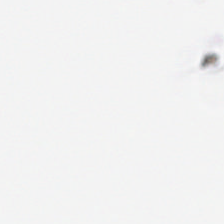H&E-stained tissue section. Content — empty background.
